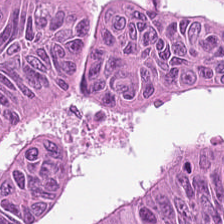H&E stain. Adenocarcinoma.
